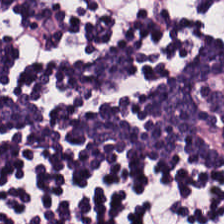224×224 pixel tile; H&E — Tissue class: lymphocyte aggregate.
